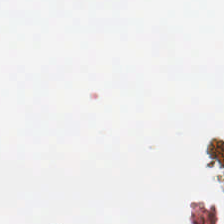Content = no tissue.
